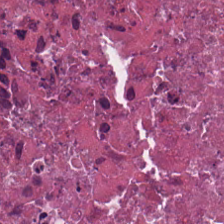224×224 pixel tile; whole-slide-image patch; H&E-stained tissue section. Tissue class — cellular debris.
